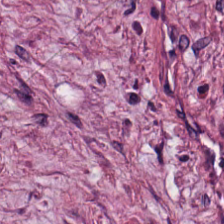Stain: H&E stain.
Resolution: 0.5 microns per pixel.
Preparation: FFPE tissue section.
Tissue type: desmoplastic stroma.
